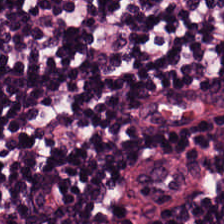H&E-stained tissue section.
The predominant tissue is lymphocytes.
